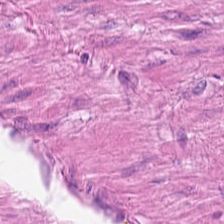Hematoxylin and eosin.
This patch shows smooth-muscle tissue.
